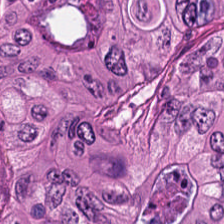Hematoxylin and eosin · 0.5 microns per pixel. Tissue: colorectal adenocarcinoma.
